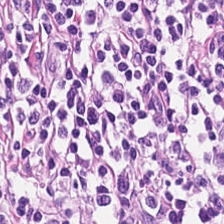Q: Identify the tissue.
A: It is lymphoid infiltrate.
